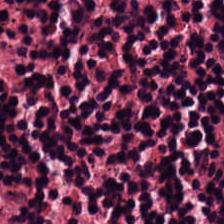Hematoxylin-and-eosin stained section; 0.5 µm per pixel — Q: Classify this patch.
A: This is lymphocytes.
